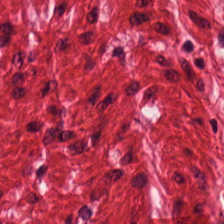H&E stain. Q: What is the predominant tissue type?
A: It is smooth muscle.
